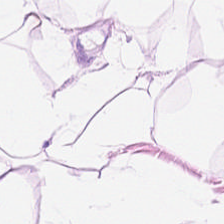Hematoxylin-and-eosin stained section — Predominant tissue = fat tissue.
